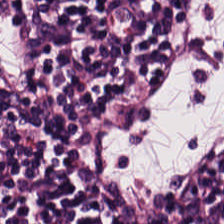Hematoxylin and eosin.
Showing lymphoid infiltrate.
